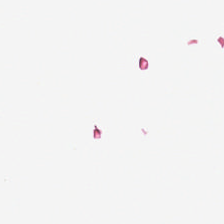H&E.
{"content": "no tissue"}
